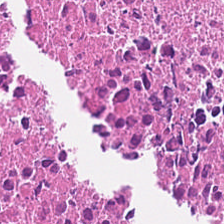Stain: hematoxylin and eosin.
Preparation: FFPE.
Classification: debris.
